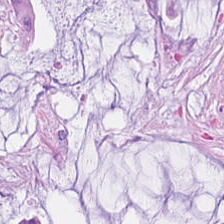Histology → extracellular mucin.
